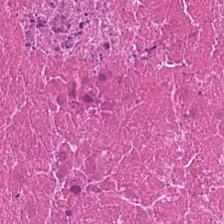Q: What tissue is shown?
A: The field shows debris.
